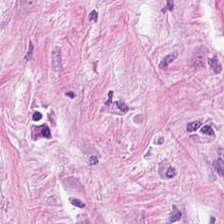H&E — Tissue — desmoplastic stroma.
